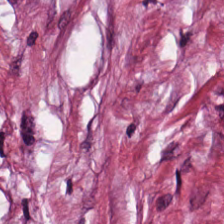H&E-stained tissue section — Q: What does this patch show?
A: Tumor stroma.
